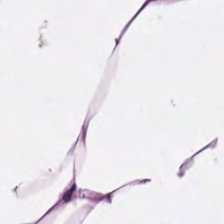H&E. 224×224 pixel tile. 0.5 µm per pixel. Finding — adipose.
